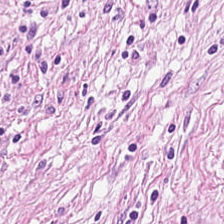Hematoxylin and eosin. Predominant tissue = tumor stroma.
